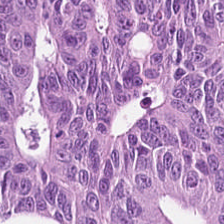This patch shows adenocarcinoma.
